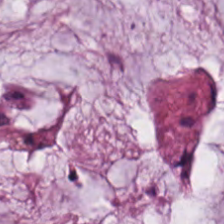Q: What is the predominant tissue type?
A: This is mucin.
